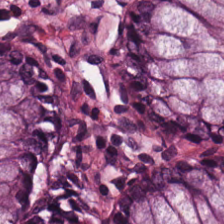Stain: H&E-stained tissue section.
Tissue: normal colon mucosa.
